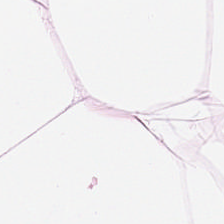This patch shows adipose.
